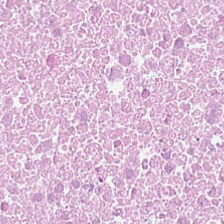H&E stain.
The predominant tissue is debris.
